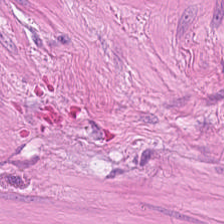Whole-slide-image patch. Hematoxylin and eosin. Muscularis.
